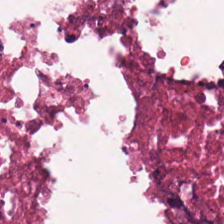Hematoxylin-and-eosin stained section — Q: Identify the tissue.
A: This is necrotic debris.
